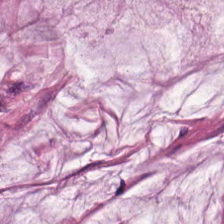Stain: hematoxylin-and-eosin stained section.
Tissue type: mucus.
